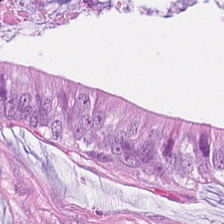Hematoxylin and eosin. Tissue type — colorectal adenocarcinoma.
